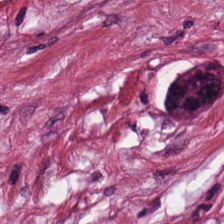Stain: H&E-stained tissue section.
Tissue: desmoplastic stroma.
